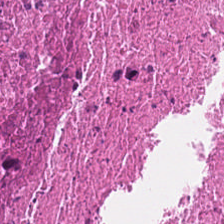224×224 px tile; hematoxylin-and-eosin stained section; 0.5 µm/px.
Showing debris.
